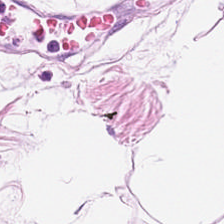Predominant tissue: adipocytes.
